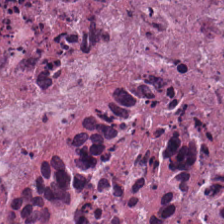Brightfield · hematoxylin-and-eosin stained section.
Showing necrotic debris.
